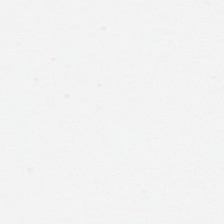Background — no tissue in this field.
